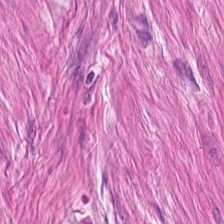Hematoxylin and eosin — The tissue type is smooth-muscle tissue.
